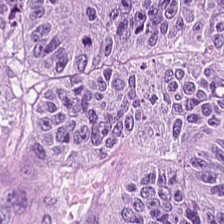Tissue type = adenocarcinoma.
